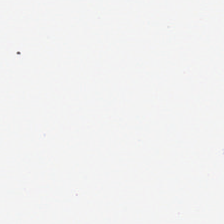No tissue.
